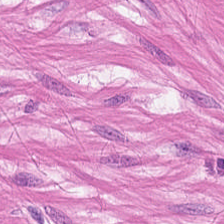Hematoxylin-and-eosin stained section. Q: What is shown in this field?
A: This is smooth muscle.
